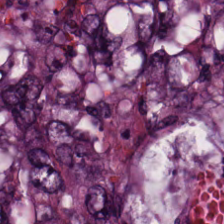0.5 microns per pixel; hematoxylin and eosin.
Histology → tumor epithelium.
